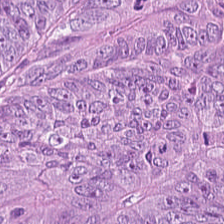The tissue here is colorectal adenocarcinoma.
